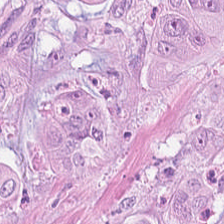H&E stain.
{"tissue_type": "colorectal adenocarcinoma epithelium"}
